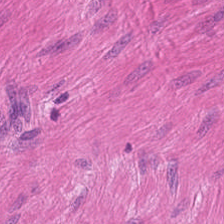224×224 pixel tile. H&E stain.
Predominantly smooth muscle.
